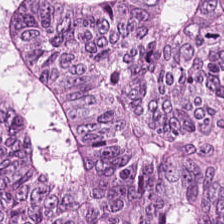Stain: H&E-stained tissue section.
Acquisition: brightfield.
Tissue: tumor epithelium.
